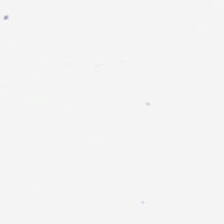H&E-stained tissue section — Q: What does this patch show?
A: It is empty background.
